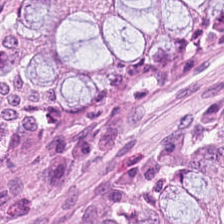Stain: H&E.
Resolution: 0.5 microns per pixel.
Preparation: FFPE tissue section.
Tissue class: normal colon mucosa.
